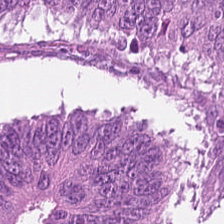Q: What type of tissue is this?
A: Colorectal adenocarcinoma epithelium.
